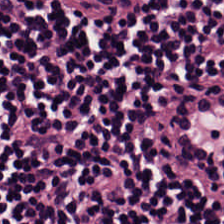Q: What tissue type is shown here?
A: Lymphocytic infiltrate.
